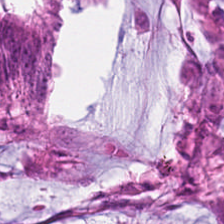Histology — tumor epithelium.
